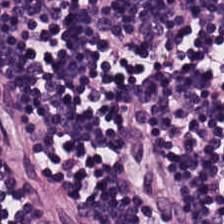H&E stain — Q: What tissue type is shown here?
A: It is lymphoid infiltrate.
